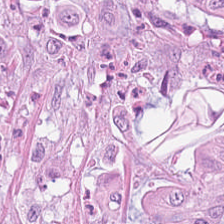Stain: H&E.
Tissue type: adenocarcinoma.
